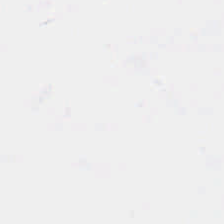FFPE tissue section; hematoxylin-and-eosin stained section; WSI patch. Background — no tissue in this field.
